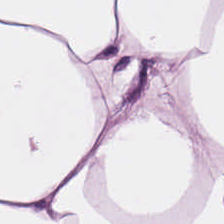Stain: hematoxylin-and-eosin stained section.
Classification: fat tissue.
